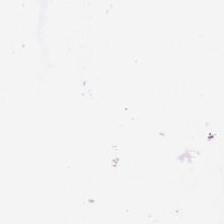Hematoxylin-and-eosin stained section · 224×224 px tile · formalin-fixed paraffin-embedded section.
{"content": "background"}
